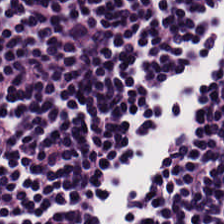H&E. 224×224 px tile.
Q: What tissue is shown?
A: It is lymphoid infiltrate.
